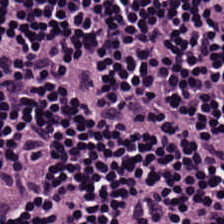Stain: hematoxylin-and-eosin stained section.
Predominant tissue: lymphocyte aggregate.
